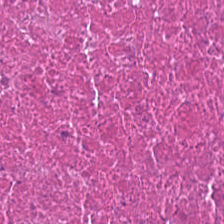Stain: hematoxylin-and-eosin stained section.
Resolution: 20× equivalent magnification.
Preparation: FFPE tissue section.
Tissue type: debris.
